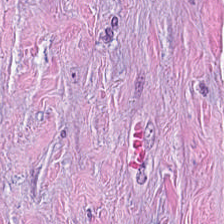Tissue type = tumor-associated stroma.
